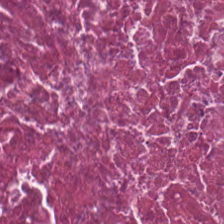Stain: H&E stain.
Tissue type: necrotic debris.
